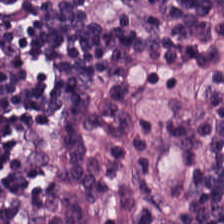Hematoxylin-and-eosin stained section. Predominantly lymphocytes.
